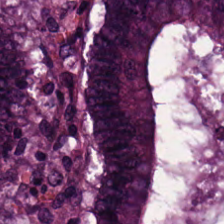Q: What does this patch show?
A: The field shows colorectal adenocarcinoma.
